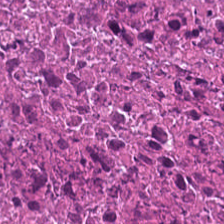Hematoxylin and eosin.
Q: Identify the tissue.
A: It is necrotic debris.
